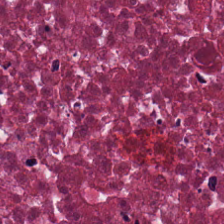H&E-stained tissue section. Tissue type — cellular debris.
